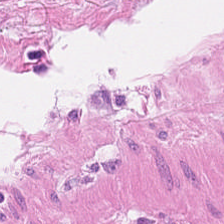H&E — Showing smooth muscle.
